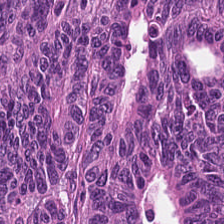H&E. The predominant tissue is colorectal adenocarcinoma epithelium.
